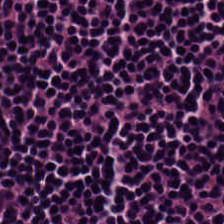Tissue = lymphocytes.
